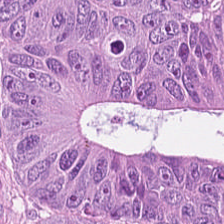Hematoxylin-and-eosin stained section. Impression → colorectal adenocarcinoma.
